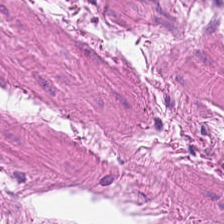Stain: H&E-stained tissue section.
Acquisition: WSI patch.
Tissue: smooth-muscle tissue.
